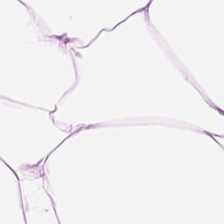H&E stain. Tissue: adipose.
